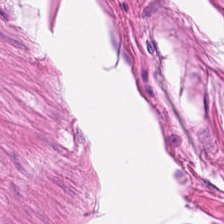Hematoxylin and eosin · brightfield microscopy · 224×224 px patch. The classification is smooth muscle.
